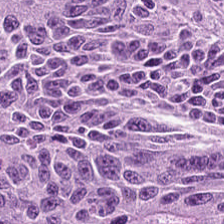H&E-stained tissue section. FFPE tissue section — Showing tumor epithelium.
